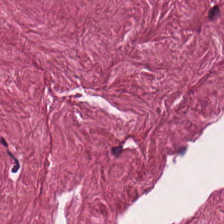224×224 px tile. Brightfield. Hematoxylin-and-eosin stained section.
Desmoplastic stroma.
